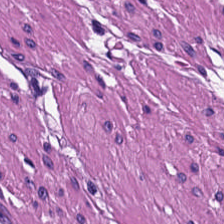Stain: hematoxylin-and-eosin stained section.
Tissue: smooth muscle.
